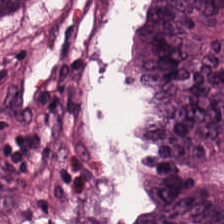Hematoxylin and eosin. Q: What type of tissue is this?
A: This is colorectal adenocarcinoma.
